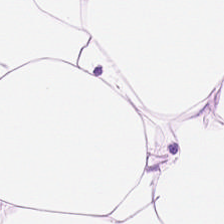Hematoxylin-and-eosin stained section. This patch shows adipocytes.
